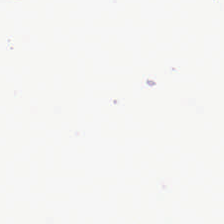Q: Classify this patch.
A: Background (no tissue).
